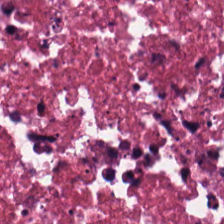Tissue = necrotic debris.
